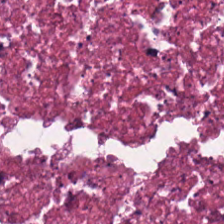H&E-stained tissue section; 224×224 pixel tile.
Classification = necrotic debris.
